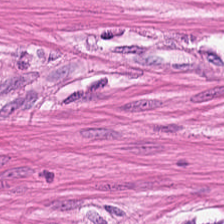H&E — Showing muscularis.
